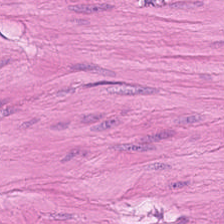H&E-stained tissue section — This field is smooth muscle.
